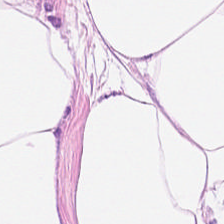Hematoxylin-and-eosin stained section — Predominant tissue: adipose.
